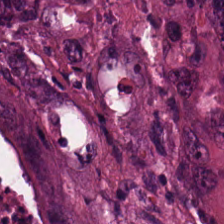Hematoxylin-and-eosin section: adenocarcinoma.
